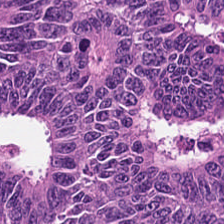224×224 px patch · H&E stain · 20× equivalent magnification. Colorectal adenocarcinoma.
